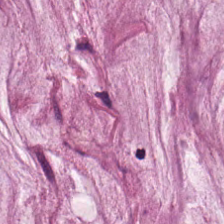FFPE · hematoxylin-and-eosin stained section. The predominant tissue is extracellular mucin.
